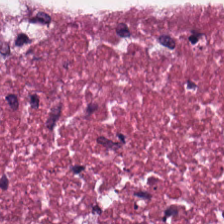Hematoxylin and eosin; brightfield microscopy. Classification: cellular debris.
